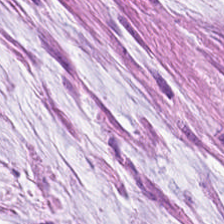H&E stain. Finding — extracellular mucin.
